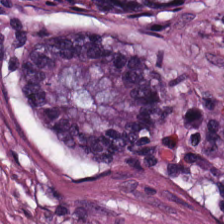Tissue = normal colon mucosa.
